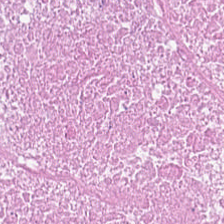0.5 microns per pixel; FFPE; H&E.
Q: What tissue type is shown here?
A: The field shows cellular debris.
